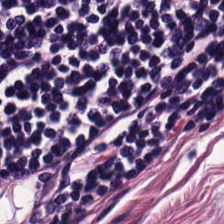Finding — lymphocyte aggregate.
